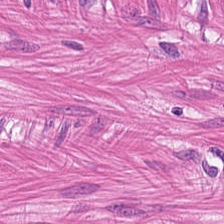The tissue is muscularis.
